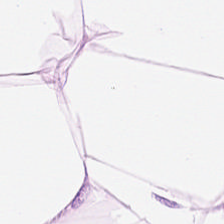Hematoxylin-and-eosin stained section. Tissue type = adipocytes.
